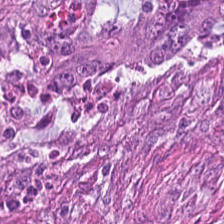Q: What tissue is shown?
A: It is adenocarcinoma.
